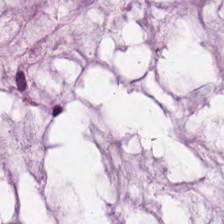H&E-stained tissue section.
Showing mucus.
